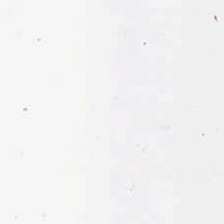Field content — no tissue.
